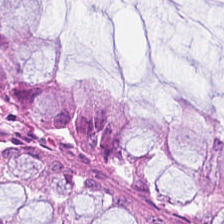Q: What tissue is shown?
A: Normal colon mucosa.
